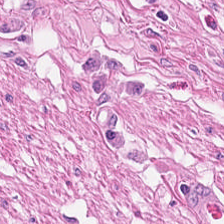Stain: hematoxylin and eosin.
Tissue type: smooth-muscle tissue.
